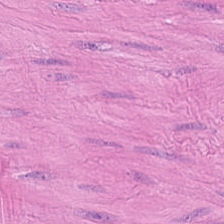Brightfield microscopy. 224×224 px tile. H&E-stained tissue section. Predominantly smooth muscle.
